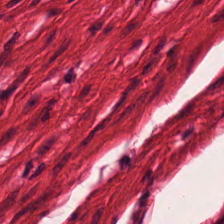H&E-stained tissue section — Classification — smooth-muscle tissue.
